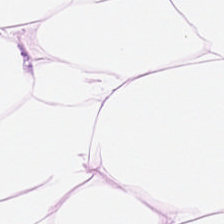Hematoxylin-and-eosin stained section — Classification — adipose tissue.
